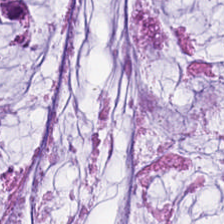Hematoxylin-and-eosin stained section.
This field is mucus.
